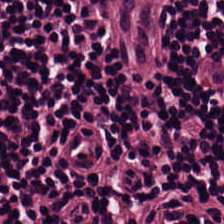Hematoxylin-and-eosin stained section — Predominantly lymphocytes.
